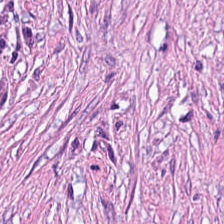H&E. Showing desmoplastic stroma.
